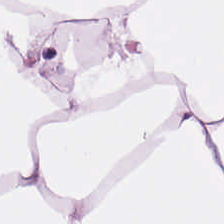0.5 µm per pixel; hematoxylin and eosin.
Q: What is shown here?
A: This is adipose.
